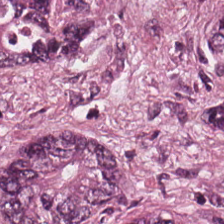H&E-stained tissue section showing colorectal adenocarcinoma.
